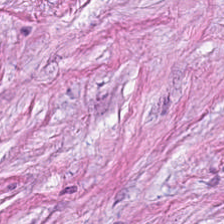Impression — desmoplastic stroma.
